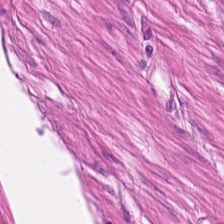Brightfield microscopy; H&E. Impression → smooth muscle.
